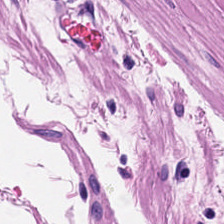H&E — Tissue — muscularis.
